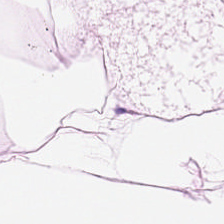Hematoxylin and eosin. Impression — fat tissue.
